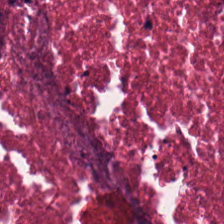Predominant tissue — necrotic debris.
